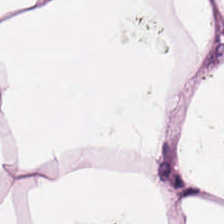Hematoxylin and eosin; brightfield; FFPE. Tissue class — adipose tissue.
